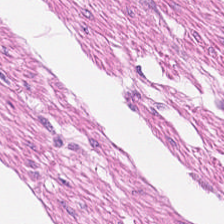H&E stain — This field is smooth-muscle tissue.
